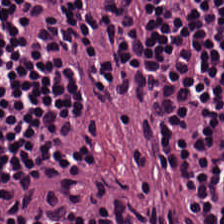H&E — Q: What tissue is shown?
A: It is lymphocyte aggregate.
